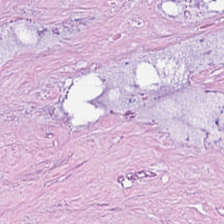H&E · 20× equivalent magnification.
Predominant tissue = debris.
